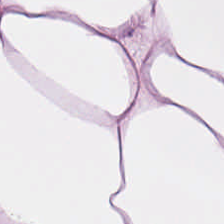Q: What tissue is shown?
A: It is adipose tissue.
